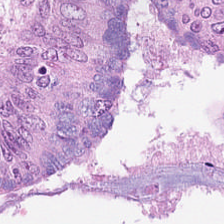Stain: hematoxylin-and-eosin stained section.
Preparation: FFPE tissue section.
Tile size: 224×224 px tile.
Tissue: tumor epithelium.
